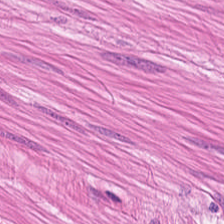Tissue class = smooth muscle.
